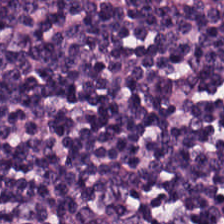Hematoxylin and eosin.
The tissue is lymphoid infiltrate.
